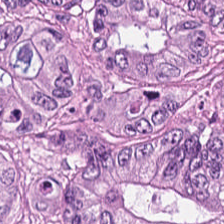0.5 µm/px; H&E.
Histology → colorectal adenocarcinoma.
